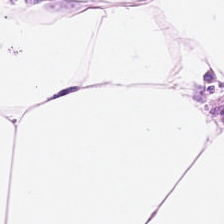H&E stain — Showing adipose tissue.
